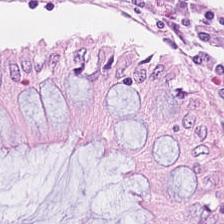{"tissue_type": "normal colon mucosa"}
